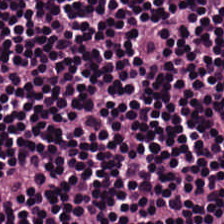Stain: H&E stain.
Tissue class: lymphoid infiltrate.
